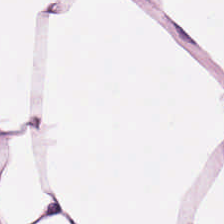H&E · FFPE.
Fat tissue.
